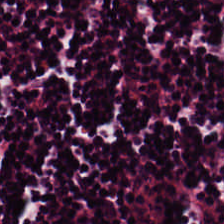H&E stain. FFPE tissue section — Q: Classify this patch.
A: Lymphoid infiltrate.
